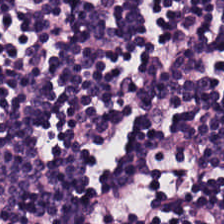Showing lymphocytic infiltrate.
